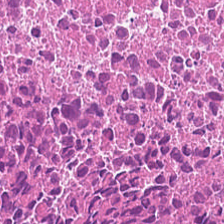H&E — cellular debris.
